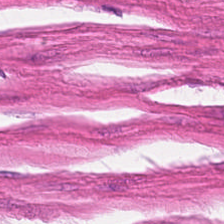Hematoxylin-and-eosin stained section.
This patch shows muscularis.
